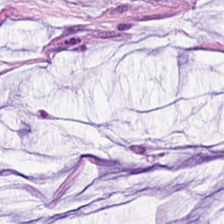H&E patch showing mucus.
